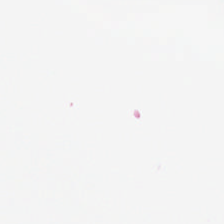No tissue present; background only.
